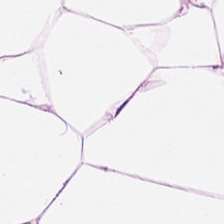Finding → adipocytes.
